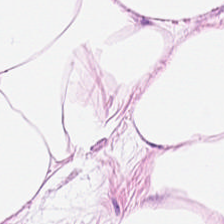Formalin-fixed paraffin-embedded section. H&E stain — Tissue type — adipose tissue.
